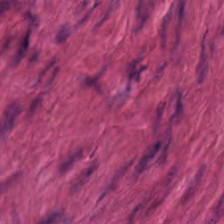Q: What does this patch show?
A: The field shows smooth-muscle tissue.
